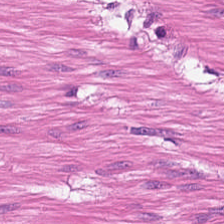Hematoxylin-and-eosin stained section — Tissue class: smooth muscle.
